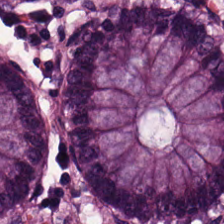Hematoxylin-and-eosin stained section — Showing normal colonic mucosa.
